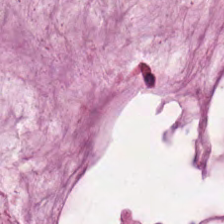0.5 microns per pixel. Hematoxylin-and-eosin stained section. This field is mucus.
